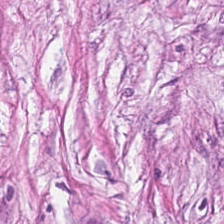224×224 px tile; 0.5 µm/px; H&E. The tissue type is tumor stroma.
